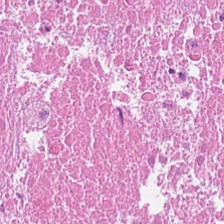The classification is debris.
